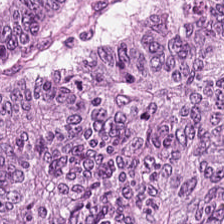Brightfield microscopy. H&E.
Finding → colorectal adenocarcinoma epithelium.
